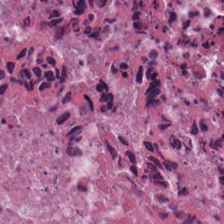H&E.
Q: What is shown here?
A: The field shows cellular debris.
